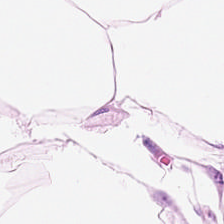FFPE tissue section; H&E-stained tissue section.
Q: What is shown in this field?
A: Adipocytes.
